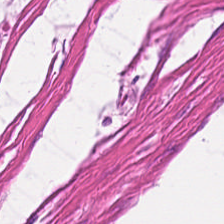Hematoxylin and eosin — Q: Classify this patch.
A: This is muscularis.
